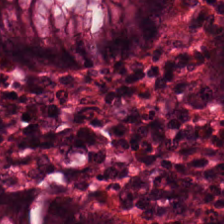Stain: H&E-stained tissue section.
Acquisition: WSI patch.
Preparation: FFPE tissue section.
Tissue type: normal colon mucosa.
